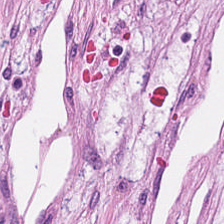Brightfield. Hematoxylin and eosin — Histology → tumor stroma.
